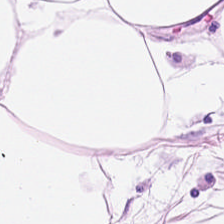FFPE tissue section · H&E stain. Impression → fat tissue.
